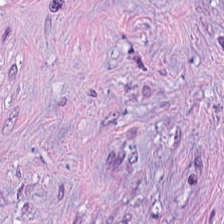FFPE · H&E-stained tissue section.
The tissue type is cancer-associated stroma.
